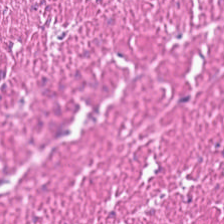H&E-stained section; the field shows muscularis.
